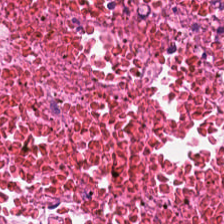224×224 px patch; formalin-fixed paraffin-embedded section; H&E-stained tissue section — The predominant tissue is debris.
